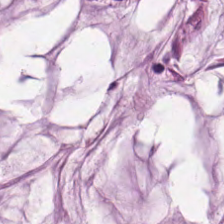H&E-stained tissue section · whole-slide-image patch — Showing extracellular mucin.
